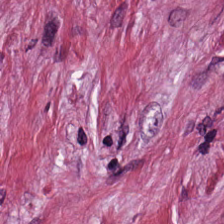Hematoxylin and eosin; 20× equivalent magnification — Tumor stroma.
